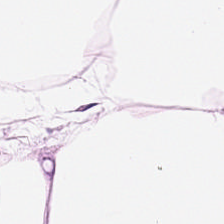Hematoxylin-and-eosin stained section. Predominantly adipocytes.
